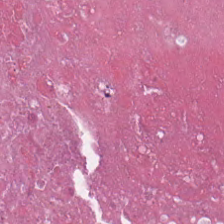224×224 px tile · 0.5 µm per pixel · hematoxylin-and-eosin stained section.
This patch shows debris.
